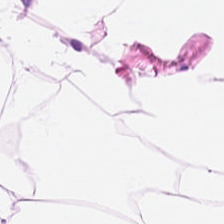H&E-stained tissue section. This patch shows adipose tissue.
